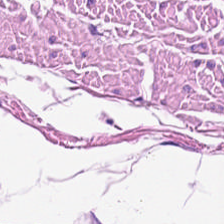Hematoxylin-and-eosin stained section — This patch shows smooth muscle.
